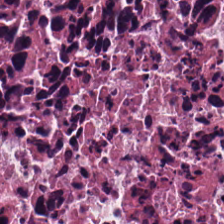Whole-slide-image patch; H&E stain — Q: What tissue type is shown here?
A: It is cellular debris.
